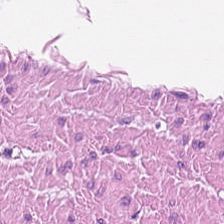H&E. Q: Identify the tissue.
A: Muscularis.
